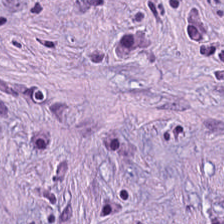Histology → cancer-associated stroma.
